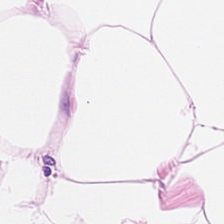224×224 pixel tile; H&E-stained tissue section.
Predominantly adipose.
